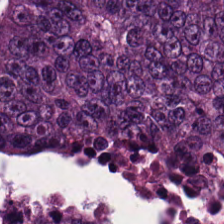Q: What type of tissue is this?
A: It is colorectal adenocarcinoma epithelium.
